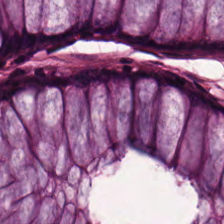H&E stain — Histology → normal colon mucosa.
